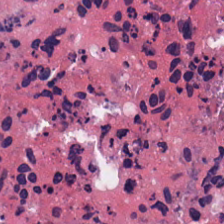{"tissue_type": "necrotic debris"}
